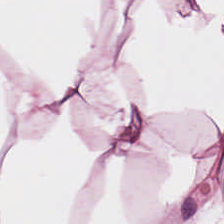Hematoxylin and eosin — The tissue here is adipose.
